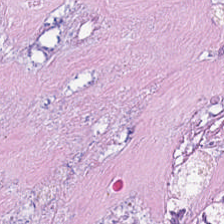224×224 px tile. Hematoxylin-and-eosin stained section. FFPE tissue section.
Classification — necrotic debris.
